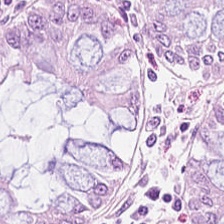H&E-stained tissue section — Showing normal colonic mucosa.
